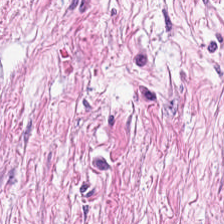Q: Classify this patch.
A: Desmoplastic stroma.
